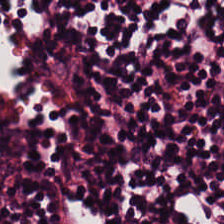H&E — Q: What type of tissue is this?
A: It is lymphoid infiltrate.
